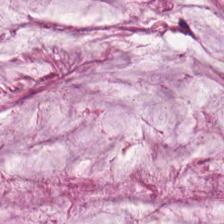H&E-stained tissue section. Tissue type = mucin.
